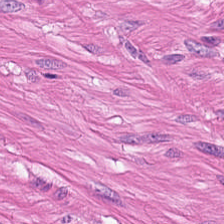The predominant tissue is muscularis.
